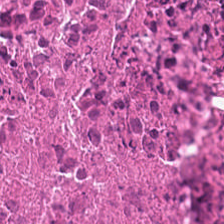H&E — {"tissue_type": "debris"}
